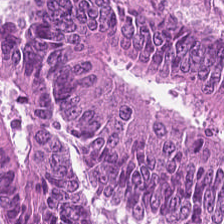H&E. 224×224 pixel tile. WSI patch.
Malignant epithelium.
